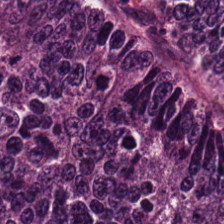H&E patch showing colorectal adenocarcinoma.
